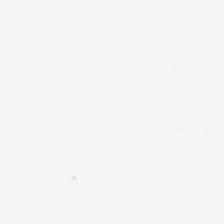Hematoxylin-and-eosin stained section — Background — no tissue in this field.
